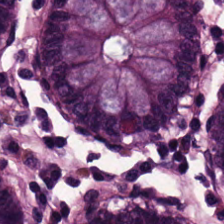Stain: H&E.
Tissue type: normal colonic mucosa.
